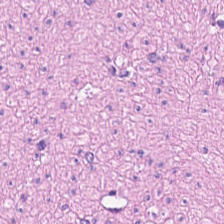0.5 microns per pixel; H&E-stained tissue section.
This field is smooth muscle.
